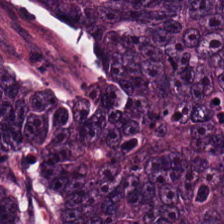{"tissue_type": "adenocarcinoma"}
